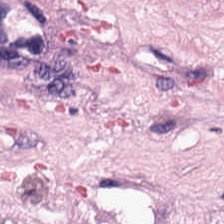Hematoxylin and eosin.
Q: What type of tissue is this?
A: It is tumor-associated stroma.
